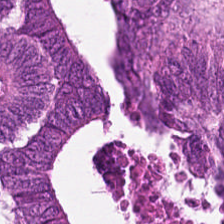H&E stain · FFPE.
{"tissue_type": "tumor epithelium"}
